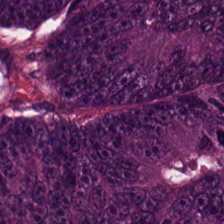Hematoxylin-and-eosin stained section — Predominant tissue: colorectal adenocarcinoma epithelium.
